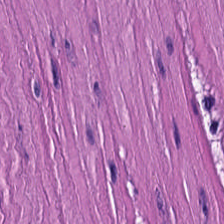Hematoxylin and eosin; 224×224 pixel tile.
Tissue: smooth muscle.
